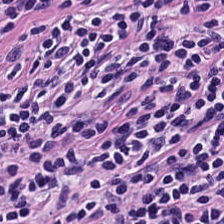H&E-stained tissue section. Lymphocytic infiltrate.
